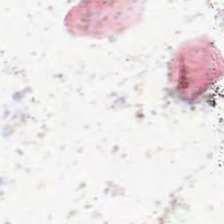H&E stain — This field is background (no tissue).
